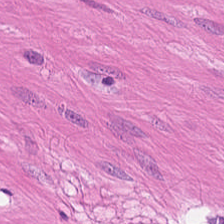H&E. FFPE tissue section.
Q: What is the predominant tissue type?
A: Muscularis.
